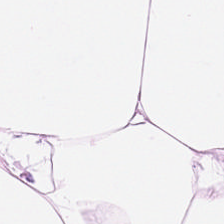0.5 µm per pixel; hematoxylin-and-eosin stained section.
{"tissue_type": "adipose tissue"}
